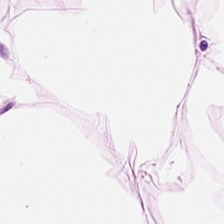Hematoxylin and eosin. Showing fat tissue.
